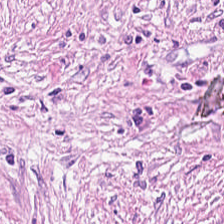H&E stain.
Tissue class: tumor stroma.
